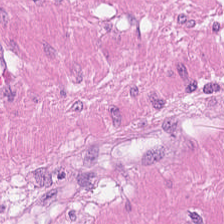Hematoxylin-and-eosin stained section · 0.5 microns per pixel. This patch shows muscularis.
